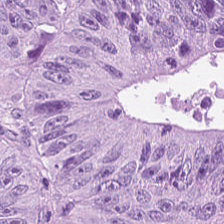H&E — The predominant tissue is adenocarcinoma.
